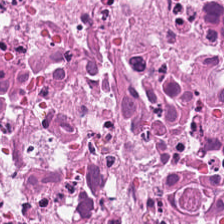H&E — Showing necrotic debris.
